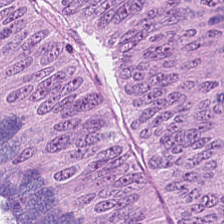Hematoxylin-and-eosin stained section.
Q: What is shown here?
A: The field shows tumor epithelium.
